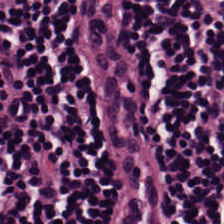H&E stain. Q: What tissue type is shown here?
A: Lymphocytes.
